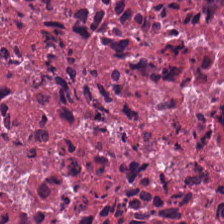224×224 px tile; H&E stain. The predominant tissue is debris.
